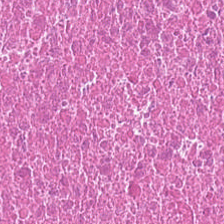H&E-stained tissue section. Q: Classify this patch.
A: It is necrotic debris.
